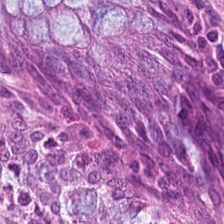H&E. 224×224 pixel tile.
Benign colonic mucosa.
